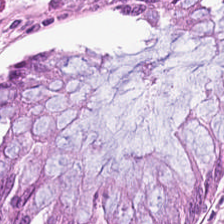Q: What is shown in this field?
A: It is non-neoplastic colon mucosa.
